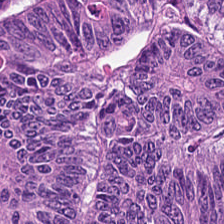Stain: H&E-stained tissue section.
Tissue: colorectal adenocarcinoma.
